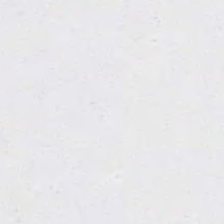Background — no tissue in this field.
